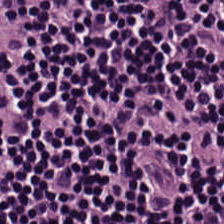224×224 pixel tile; H&E. Predominantly lymphocyte aggregate.
